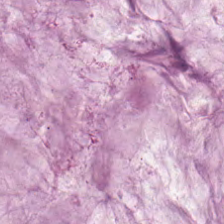Stain: H&E-stained tissue section.
Tissue class: extracellular mucin.
